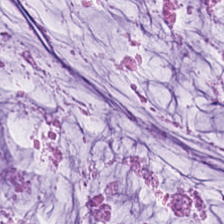FFPE · 20× equivalent magnification · H&E stain. Tissue class = mucus.
